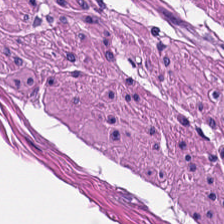0.5 µm/px · hematoxylin and eosin — Histology — muscularis.
